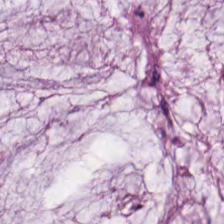Brightfield microscopy; 224×224 px tile; hematoxylin-and-eosin stained section. Histology — extracellular mucin.
